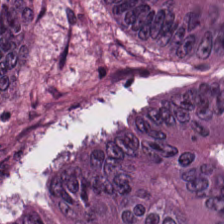H&E. Q: What type of tissue is this?
A: The field shows colorectal adenocarcinoma.
